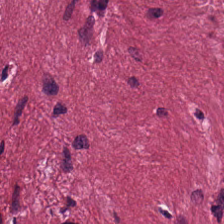H&E stain. Q: What tissue type is shown here?
A: Tumor-associated stroma.
